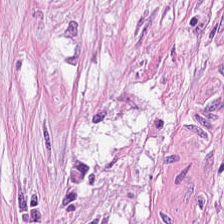Classification — tumor-associated stroma.
